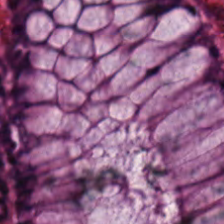FFPE tissue section; 0.5 µm/px; H&E stain — The predominant tissue is normal colonic mucosa.
